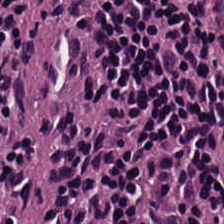Whole-slide-image patch; hematoxylin and eosin.
Q: What tissue type is shown here?
A: The field shows lymphocyte aggregate.
